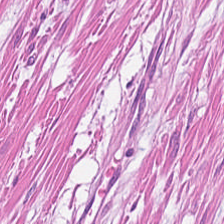Stain: hematoxylin-and-eosin stained section.
Resolution: 0.5 µm/px.
Tissue class: muscularis.
